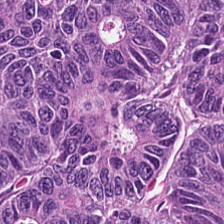Hematoxylin and eosin; 224×224 pixel tile — Tissue class = adenocarcinoma.
